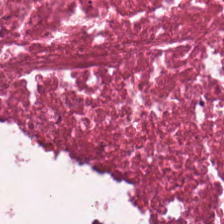H&E patch showing debris.
